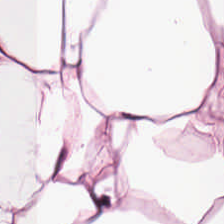H&E stain — Predominantly adipose tissue.
